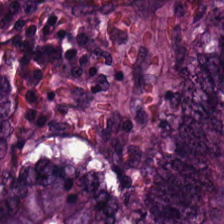Hematoxylin-and-eosin stained section. Formalin-fixed paraffin-embedded section.
Showing malignant epithelium.
